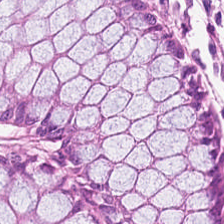0.5 µm per pixel · hematoxylin-and-eosin stained section · brightfield.
Predominant tissue = benign colonic mucosa.
